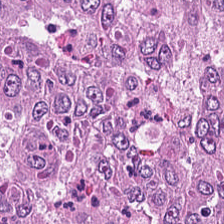Hematoxylin-and-eosin stained section. FFPE tissue section. 0.5 microns per pixel.
Predominantly adenocarcinoma.
